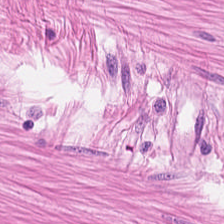Hematoxylin and eosin. 0.5 microns per pixel.
{"tissue_type": "smooth muscle"}
